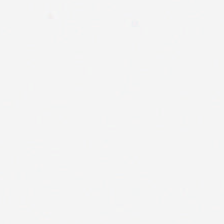224×224 pixel tile; hematoxylin and eosin; WSI patch — Finding → empty background.
